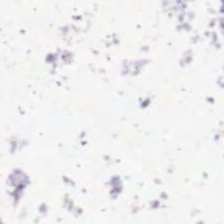Formalin-fixed paraffin-embedded section. Hematoxylin-and-eosin stained section. Classification = background.
